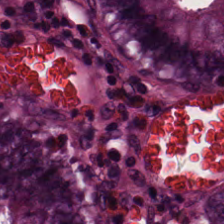H&E stain. Q: What tissue is shown?
A: It is normal colon mucosa.
